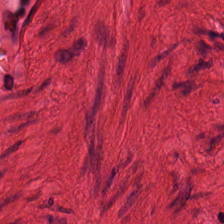224×224 px patch. Hematoxylin-and-eosin stained section. The tissue is smooth muscle.
